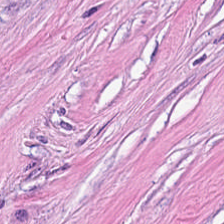224×224 px tile · hematoxylin and eosin — Tissue type = desmoplastic stroma.
